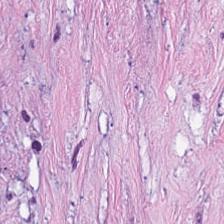H&E-stained tissue section. Tissue: tumor stroma.
